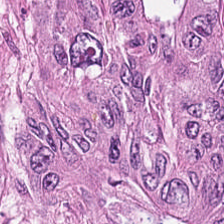H&E — Predominantly adenocarcinoma.
